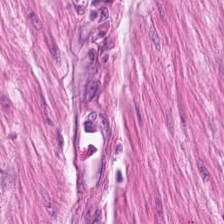Tissue — smooth-muscle tissue.
